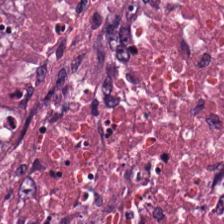FFPE. Brightfield microscopy. Hematoxylin and eosin.
This field is necrotic debris.
